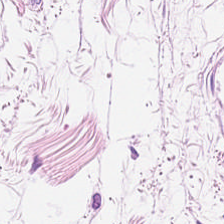WSI patch · H&E · 0.5 µm per pixel. Q: What is shown in this field?
A: This is adipocytes.
